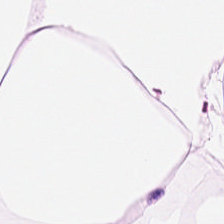Fat tissue.
